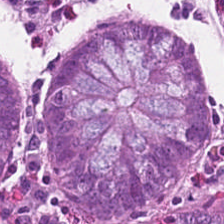H&E-stained tissue section.
Non-neoplastic colon mucosa.
